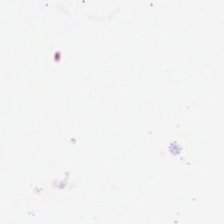Formalin-fixed paraffin-embedded section; brightfield microscopy; H&E stain.
{"content": "background"}
